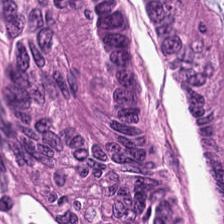Q: What is shown here?
A: This is malignant epithelium.
